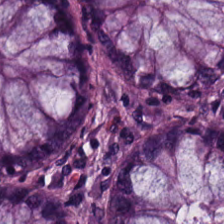Hematoxylin and eosin; 224×224 px tile; 0.5 µm/px. Finding → non-neoplastic colon mucosa.
